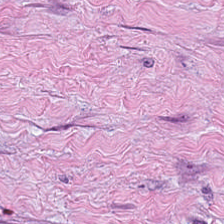Hematoxylin-and-eosin stained section · whole-slide-image patch. Histology → desmoplastic stroma.
